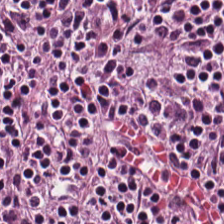H&E-stained tissue section · 224×224 px patch · 0.5 microns per pixel.
The tissue is lymphocytic infiltrate.
